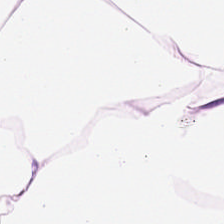0.5 µm per pixel · H&E stain. Q: What is shown in this field?
A: This is adipose tissue.
